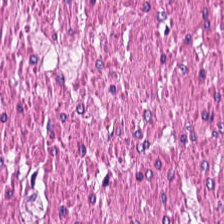Formalin-fixed paraffin-embedded section · hematoxylin-and-eosin stained section · 0.5 µm/px.
Q: What is shown here?
A: It is smooth-muscle tissue.
